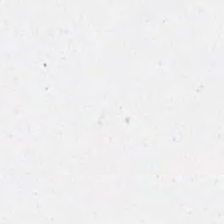H&E-stained tissue section — No tissue present; background only.
